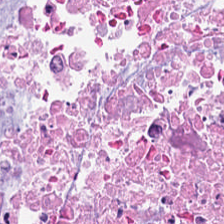H&E. Showing cellular debris.
